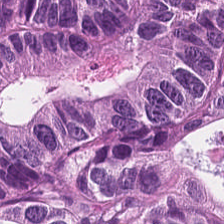H&E stain.
The tissue class is colorectal adenocarcinoma.
